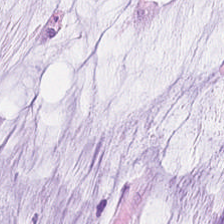Q: Identify the tissue.
A: It is mucus.
